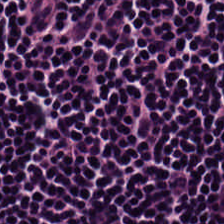Hematoxylin-and-eosin stained section; 224×224 px tile.
Q: Identify the tissue.
A: This is lymphocyte aggregate.
